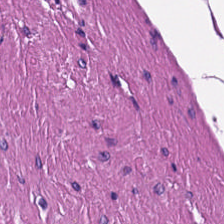Stain: H&E-stained tissue section.
Classification: smooth muscle.
